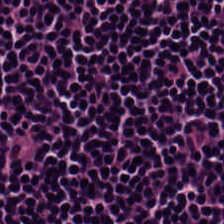H&E; 224×224 px patch. Classification — lymphoid infiltrate.
